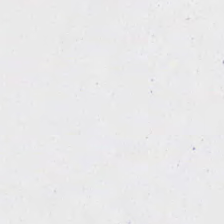224×224 px patch. Hematoxylin and eosin. Whole-slide-image patch — Empty field — background (no tissue).
